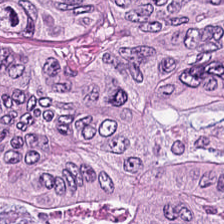0.5 microns per pixel. H&E-stained tissue section. The tissue class is malignant epithelium.
